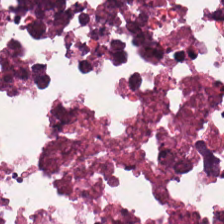0.5 microns per pixel. H&E-stained tissue section. This field is cellular debris.
